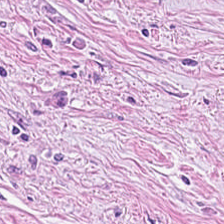Classification = tumor stroma.
